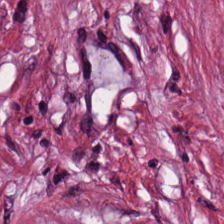{"tissue_type": "desmoplastic stroma"}
